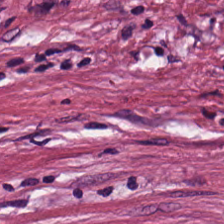{"tissue_type": "cancer-associated stroma"}
